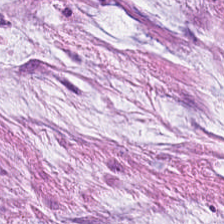H&E stain; FFPE tissue section — Q: What does this patch show?
A: This is mucin.
